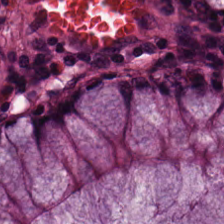Hematoxylin-and-eosin stained section; 224×224 px tile.
The tissue here is normal colonic mucosa.
